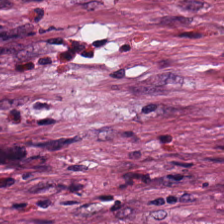H&E stain; brightfield. The tissue type is tumor-associated stroma.
